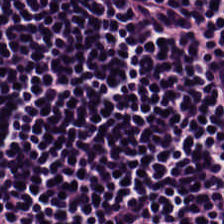0.5 µm/px; H&E. Tissue class = lymphocytic infiltrate.
